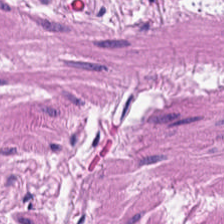Stain: H&E stain.
Tissue: smooth muscle.
